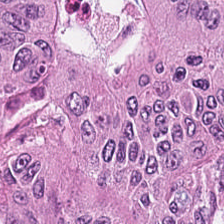Hematoxylin-and-eosin stained section.
This field is malignant epithelium.
